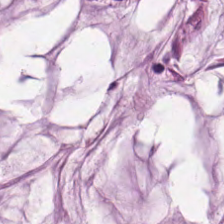Hematoxylin-and-eosin stained section; 224×224 px patch — {"tissue_type": "extracellular mucin"}
